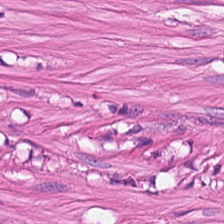224×224 px patch. H&E. The tissue type is smooth muscle.
